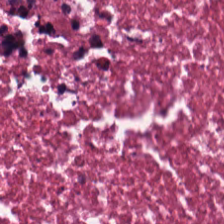H&E stain · 0.5 microns per pixel — The tissue class is cellular debris.
